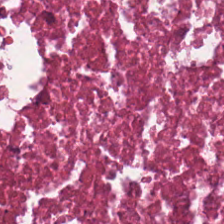H&E-stained tissue section.
The predominant tissue is necrotic debris.
